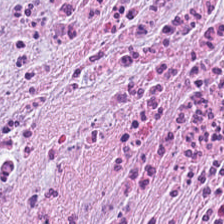Stain: hematoxylin and eosin.
Classification: desmoplastic stroma.
